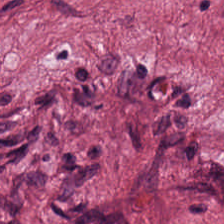H&E stain. 224×224 pixel tile. Q: What does this patch show?
A: It is tumor stroma.
